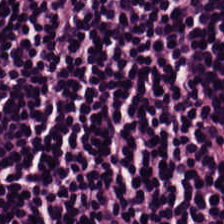H&E-stained tissue section. Tissue = lymphoid infiltrate.
